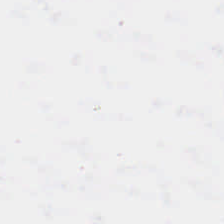H&E-stained tissue section.
Impression — background.
